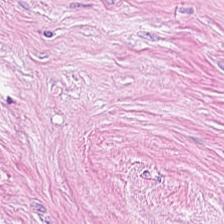Stain: H&E stain.
Classification: desmoplastic stroma.
